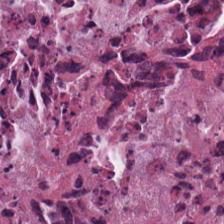0.5 µm per pixel; H&E stain; brightfield microscopy. Q: What does this patch show?
A: Necrotic debris.
